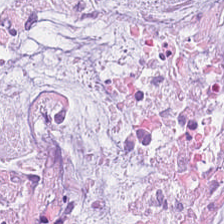Stain: H&E-stained tissue section.
Preparation: formalin-fixed paraffin-embedded section.
Tissue type: mucus.
